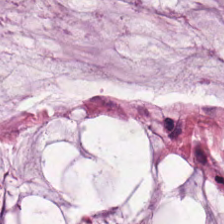H&E-stained tissue section. {"tissue_type": "extracellular mucin"}
